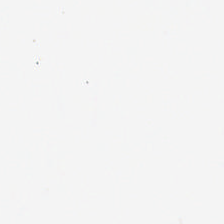H&E-stained tissue section · 0.5 µm/px.
No tissue present; background only.
